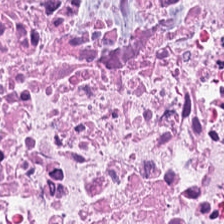H&E stain · FFPE tissue section. Tissue class: necrotic debris.
